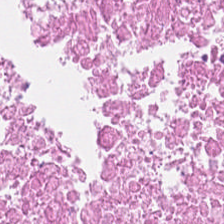H&E-stained tissue section — The tissue here is cellular debris.
